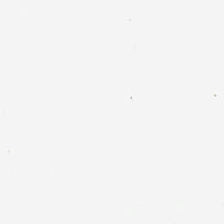No tissue present; background only.
